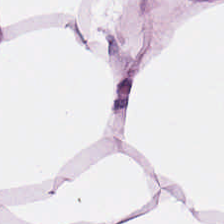Hematoxylin and eosin. This patch shows fat tissue.
